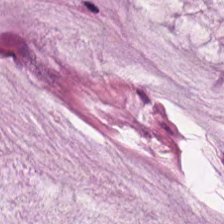H&E. Q: What does this patch show?
A: This is extracellular mucin.
